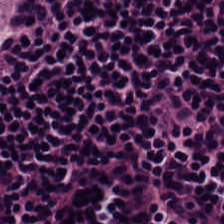Stain: hematoxylin and eosin.
Acquisition: brightfield.
Classification: lymphoid infiltrate.
